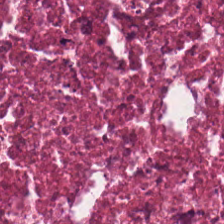H&E stain — Q: What tissue is shown?
A: This is necrotic debris.
